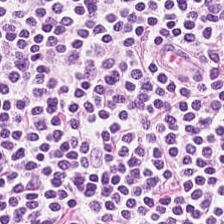H&E stain. 0.5 microns per pixel. 224×224 pixel tile.
Q: Classify this patch.
A: The field shows lymphoid infiltrate.
